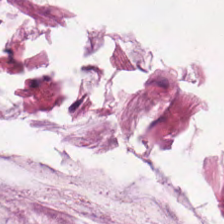H&E — Tissue — mucin.
